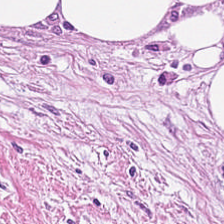Histology — tumor stroma.
